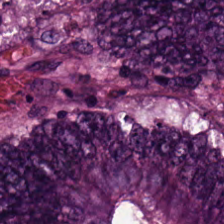H&E-stained tissue section. 224×224 pixel tile. Finding → colorectal adenocarcinoma.
